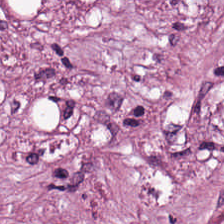Stain: hematoxylin-and-eosin stained section.
Predominant tissue: tumor stroma.
